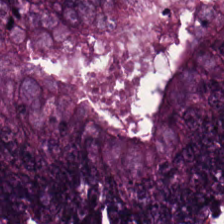Stain: H&E stain.
Predominant tissue: colorectal adenocarcinoma.
